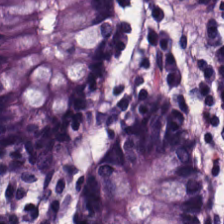H&E stain.
The tissue is benign colonic mucosa.
